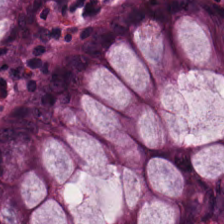Hematoxylin-and-eosin stained section — The tissue here is normal colon mucosa.
